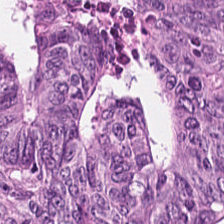H&E patch showing tumor epithelium.
